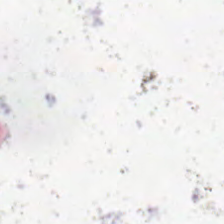H&E stain. Classification = empty background.
